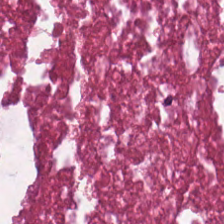Classification: cellular debris.
